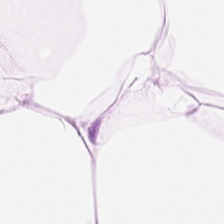This field is fat tissue.
